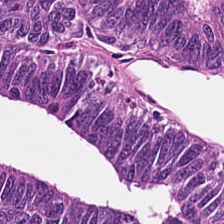Hematoxylin-and-eosin stained section · 224×224 pixel tile. Q: What is shown in this field?
A: Adenocarcinoma.
